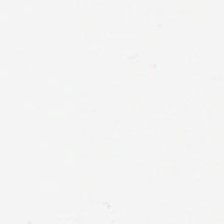FFPE; H&E — Field content — empty background.
